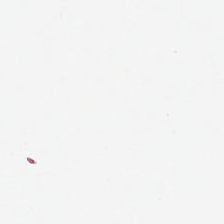Whole-slide-image patch · 224×224 px tile · hematoxylin and eosin. Q: Classify this patch.
A: The field shows background (no tissue).
